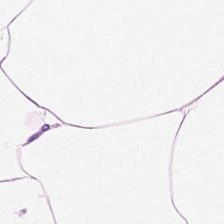The classification is fat tissue.
